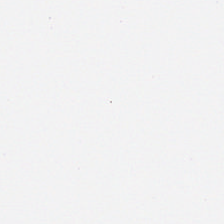Hematoxylin-and-eosin stained section. Brightfield microscopy. 0.5 microns per pixel.
This field is background (no tissue).
